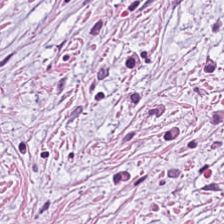H&E. Predominantly desmoplastic stroma.
